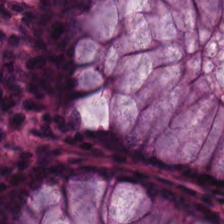Tissue: benign colonic mucosa.
